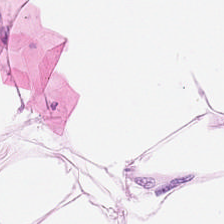224×224 pixel tile; hematoxylin and eosin. The tissue class is adipose.
